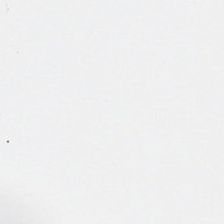No tissue present; background only.
